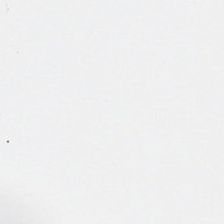No tissue present; background only.
